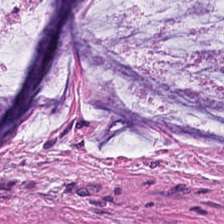Hematoxylin-and-eosin stained section. 224×224 pixel tile. Mucin.
